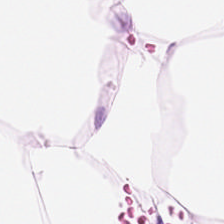Hematoxylin-and-eosin stained section; FFPE. The classification is adipose.
